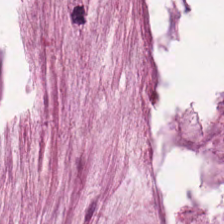H&E stain. The predominant tissue is extracellular mucin.
